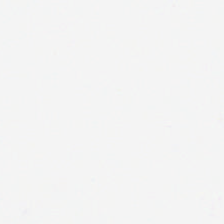Stain: H&E-stained tissue section.
Classification: empty background.
